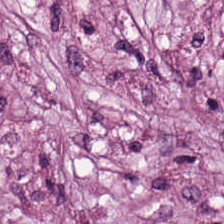H&E stain; 0.5 µm/px — This field is cancer-associated stroma.
